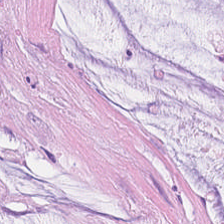Hematoxylin-and-eosin stained section; brightfield microscopy.
This field is mucus.
